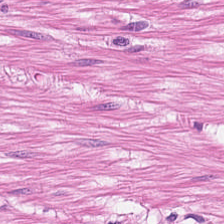Stain: H&E-stained tissue section.
Classification: muscularis.
